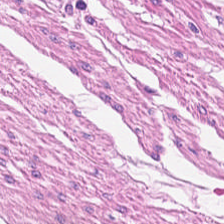Hematoxylin and eosin — The tissue here is muscularis.
